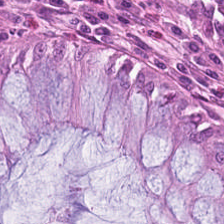Stain: H&E.
Tissue type: benign colonic mucosa.
